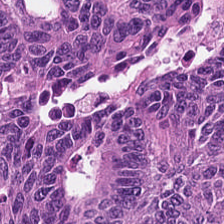224×224 px patch · H&E stain. Classification = adenocarcinoma.
